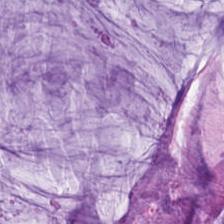This field is mucus.
